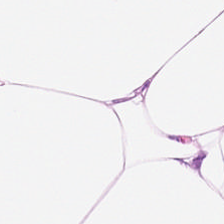H&E · 224×224 px tile. Finding → adipose tissue.
